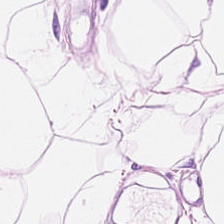Stain: H&E-stained tissue section.
Acquisition: WSI patch.
Preparation: FFPE tissue section.
Tissue type: fat tissue.
